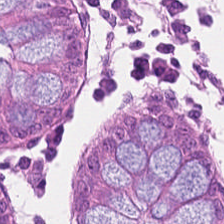H&E · 224×224 px patch.
This field is non-neoplastic colon mucosa.
